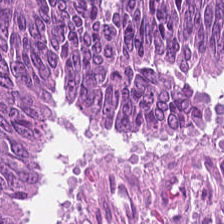Stain: hematoxylin-and-eosin stained section.
Preparation: FFPE tissue section.
Classification: colorectal adenocarcinoma.
